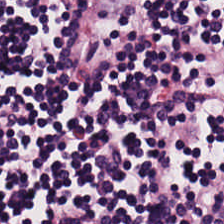Hematoxylin-and-eosin stained section. The classification is lymphoid infiltrate.
